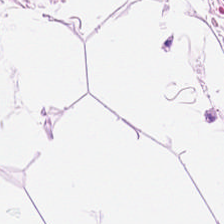Hematoxylin-and-eosin stained section — The tissue type is adipose.
